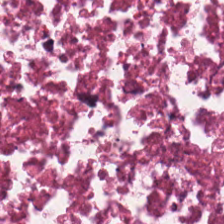Impression → cellular debris.
